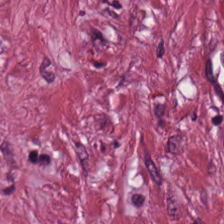H&E · 0.5 µm/px · 224×224 pixel tile. Showing tumor-associated stroma.
